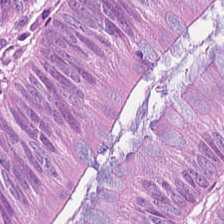H&E-stained tissue section; 224×224 px tile.
Q: What does this patch show?
A: The field shows malignant epithelium.
